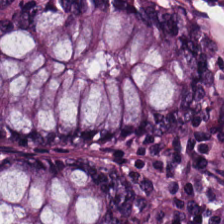H&E stain; 0.5 µm per pixel. This field is benign colonic mucosa.
